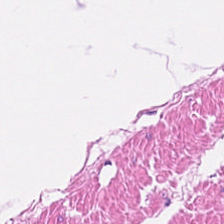Finding — smooth-muscle tissue.
